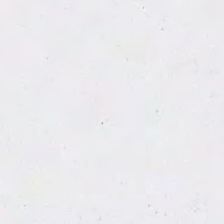0.5 µm per pixel. Brightfield microscopy. Hematoxylin and eosin.
Field content = empty background.
